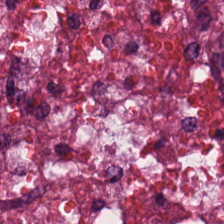Stain: H&E-stained tissue section.
Tissue type: necrotic debris.
